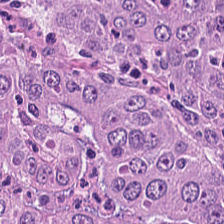Q: What tissue type is shown here?
A: Malignant epithelium.
